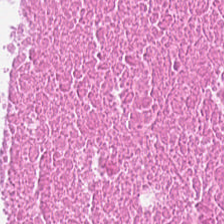FFPE tissue section. H&E. The classification is necrotic debris.
